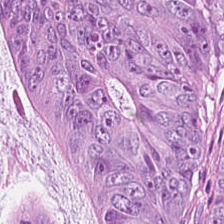H&E stain.
Q: What does this patch show?
A: This is colorectal adenocarcinoma.
